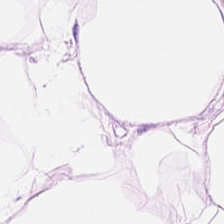H&E. 224×224 px patch — Showing fat tissue.
